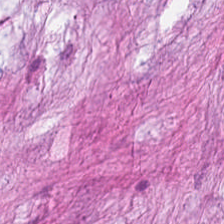Hematoxylin and eosin.
Tumor stroma.
